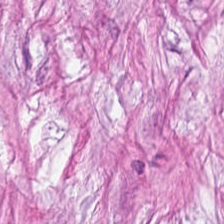Q: What tissue is shown?
A: This is tumor-associated stroma.
